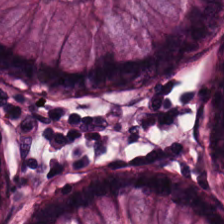WSI patch · H&E-stained tissue section · 0.5 µm/px. Non-neoplastic colon mucosa.
